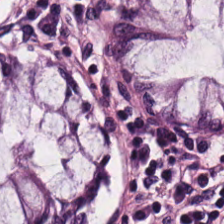H&E-stained tissue section. 0.5 microns per pixel. WSI patch — The tissue class is normal colonic mucosa.
